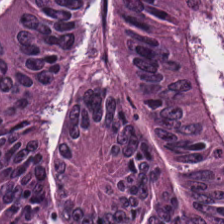Stain: H&E-stained tissue section.
Tissue: colorectal adenocarcinoma.
